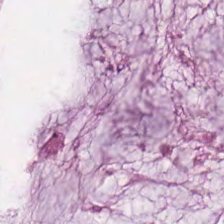Classification — extracellular mucin.
